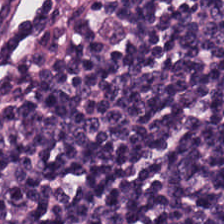Stain: H&E-stained tissue section.
Predominant tissue: lymphocytes.
